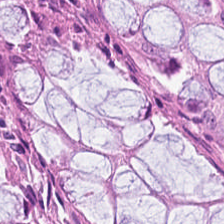Hematoxylin and eosin.
{"tissue_type": "normal colon mucosa"}
